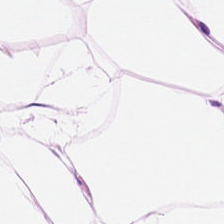H&E. WSI patch. 0.5 µm per pixel — This field is fat tissue.
